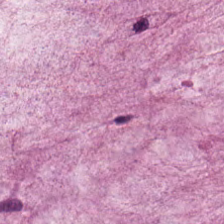H&E.
Extracellular mucin.
